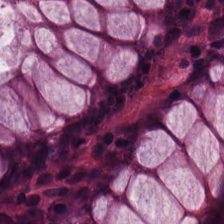Hematoxylin-and-eosin section: non-neoplastic colon mucosa.
